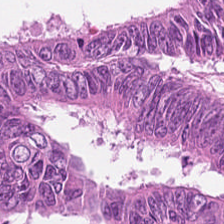224×224 px tile. H&E. Formalin-fixed paraffin-embedded section. Tissue: adenocarcinoma.
